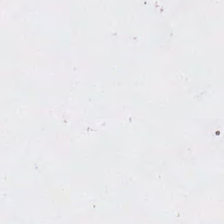WSI patch; H&E.
Background — no tissue in this field.
